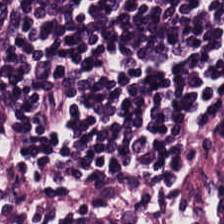Hematoxylin and eosin.
Q: What is the predominant tissue type?
A: The field shows lymphoid infiltrate.
